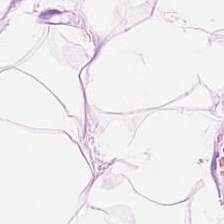H&E — Q: What type of tissue is this?
A: It is adipose.
